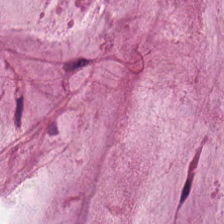Hematoxylin and eosin. 20× equivalent magnification.
Q: What type of tissue is this?
A: This is mucus.
